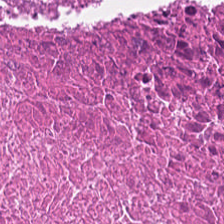H&E-stained tissue section — Classification: necrotic debris.
